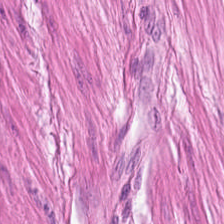Hematoxylin and eosin.
Q: Identify the tissue.
A: It is smooth muscle.
